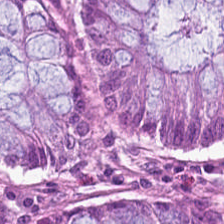This field is benign colonic mucosa.
